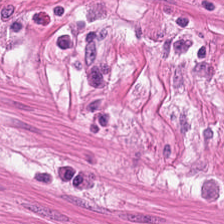H&E-stained tissue section — Q: Identify the tissue.
A: The field shows muscularis.
